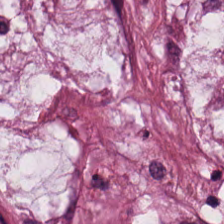Histology — extracellular mucin.
